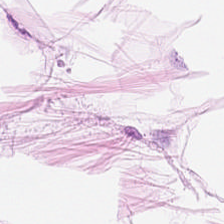Hematoxylin-and-eosin stained section. Finding → adipose tissue.
